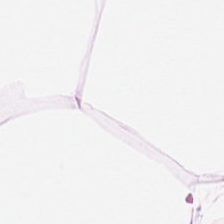Hematoxylin and eosin. The tissue class is adipose.
